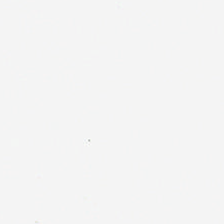The classification is no tissue.
